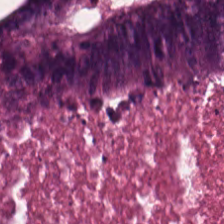20× equivalent magnification; FFPE; hematoxylin and eosin. Q: What does this patch show?
A: Necrotic debris.
